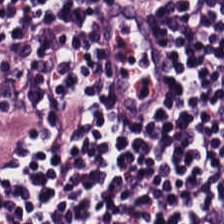H&E-stained tissue section.
Showing lymphocyte aggregate.
